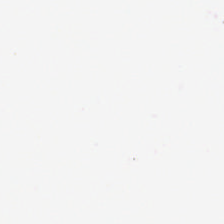Hematoxylin and eosin; 224×224 px patch.
Finding — no tissue.
